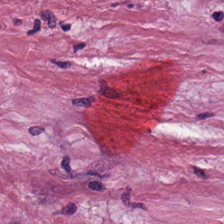H&E-stained section; the field shows cancer-associated stroma.
